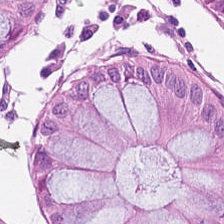Hematoxylin and eosin.
Impression — normal colon mucosa.
